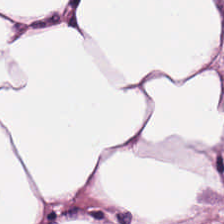Hematoxylin-and-eosin stained section · brightfield · 0.5 µm per pixel — Q: What tissue is shown?
A: This is adipocytes.
